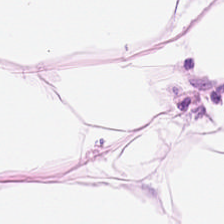Hematoxylin and eosin.
This field is fat tissue.
